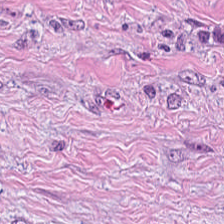H&E-stained tissue section showing tumor-associated stroma.
